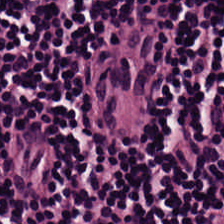Stain: hematoxylin-and-eosin stained section.
Acquisition: WSI patch.
Tissue class: lymphoid infiltrate.
